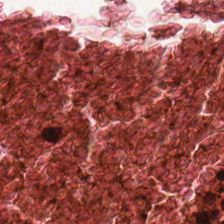Hematoxylin-and-eosin stained section; formalin-fixed paraffin-embedded section; 224×224 pixel tile — Q: What tissue is shown?
A: Cellular debris.
